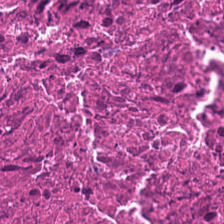H&E-stained tissue section showing debris.
